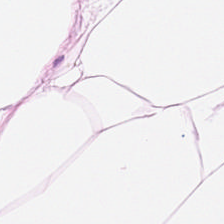Tissue class — adipose tissue.
